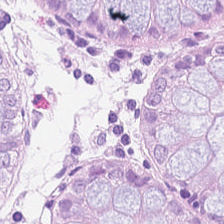{"tissue_type": "normal colonic mucosa"}
